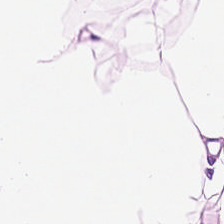Hematoxylin-and-eosin stained section. Predominantly fat tissue.
